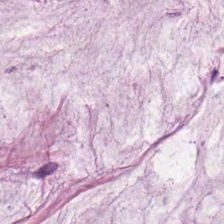Histology — extracellular mucin.
